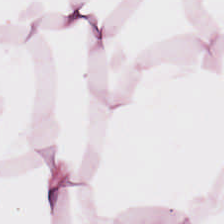Hematoxylin and eosin — Tissue class = adipose tissue.
